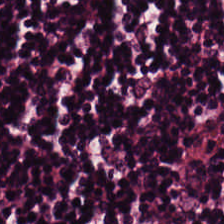Brightfield · H&E · 224×224 px patch.
Showing lymphocytic infiltrate.
